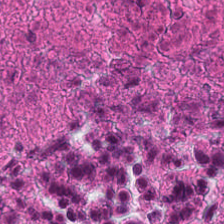Q: What type of tissue is this?
A: This is necrotic debris.
